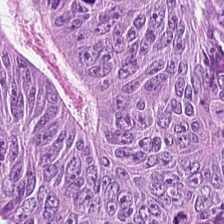Brightfield · FFPE tissue section · hematoxylin and eosin.
Colorectal adenocarcinoma epithelium.
